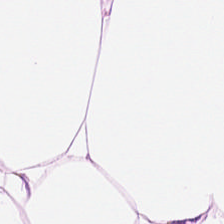H&E-stained tissue section — Tissue class: adipose tissue.
